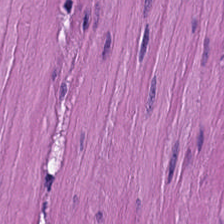Stain: H&E.
Tissue type: muscularis.
